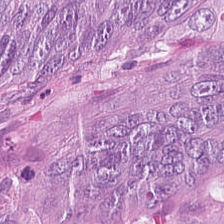H&E — Q: What does this patch show?
A: The field shows tumor epithelium.
